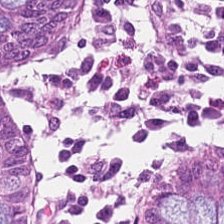H&E stain — Predominantly normal colon mucosa.
